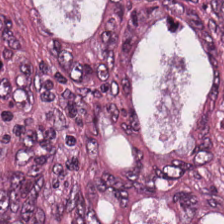Hematoxylin and eosin — Colorectal adenocarcinoma epithelium.
